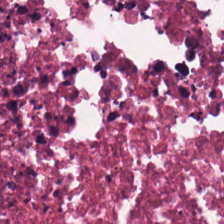H&E stain — The tissue type is debris.
